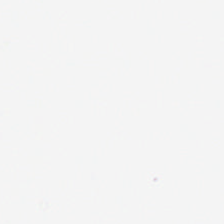Hematoxylin-and-eosin stained section — Impression → no tissue.
